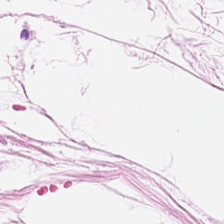20× equivalent magnification. H&E stain — The tissue type is adipose tissue.
